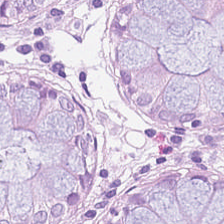Impression → normal colon mucosa.
